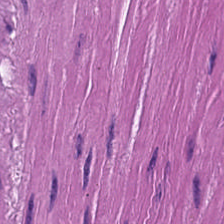H&E. Q: What is shown in this field?
A: Muscularis.
